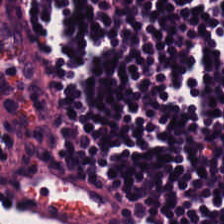H&E-stained tissue section · 0.5 µm/px. Tissue class = lymphocytes.
